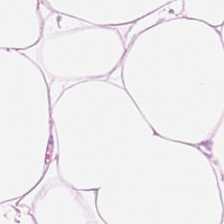Stain: H&E-stained tissue section.
Tissue class: fat tissue.
